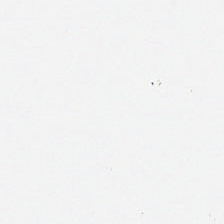Hematoxylin-and-eosin stained section. 0.5 µm/px. This field is background (no tissue).
